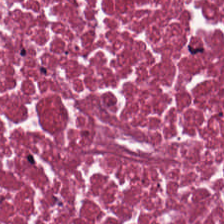H&E-stained tissue section showing debris.
